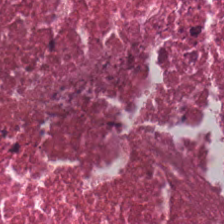Hematoxylin-and-eosin stained section.
This field is cellular debris.
